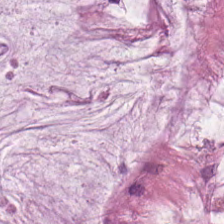FFPE tissue section · brightfield · hematoxylin-and-eosin stained section.
{"tissue_type": "mucin"}
